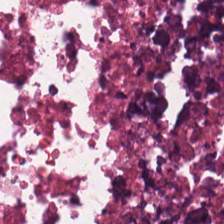224×224 pixel tile · H&E stain. Tissue = cellular debris.
